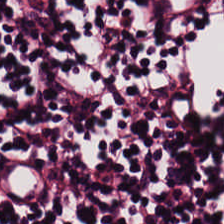224×224 px tile; WSI patch; H&E-stained tissue section.
Finding — lymphocyte aggregate.
